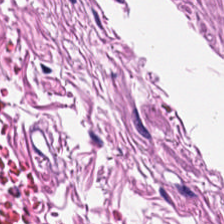Stain: H&E stain.
Tissue class: smooth-muscle tissue.
